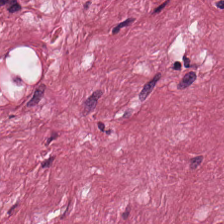H&E. 224×224 px patch. Tissue type: tumor-associated stroma.
